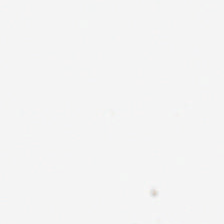Hematoxylin and eosin; 0.5 µm per pixel.
Content — background.
